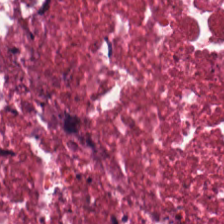H&E — debris.
